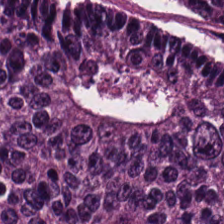H&E stain.
Predominant tissue: adenocarcinoma.
